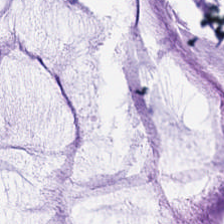Hematoxylin and eosin · brightfield — Tissue — mucus.
